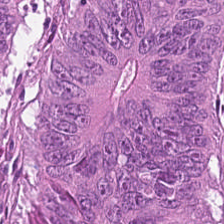Stain: hematoxylin-and-eosin stained section.
Tissue: colorectal adenocarcinoma epithelium.
